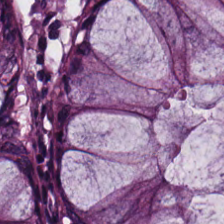Hematoxylin and eosin.
Tissue — non-neoplastic colon mucosa.
